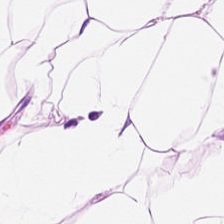H&E — {"tissue_type": "adipose"}
